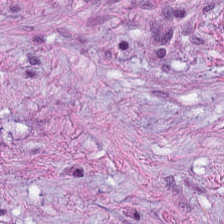Hematoxylin and eosin — Tumor stroma.
